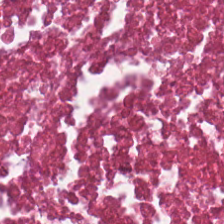224×224 px patch · hematoxylin and eosin · WSI patch — Predominantly necrotic debris.
